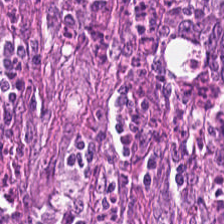Stain: H&E stain.
Classification: colorectal adenocarcinoma epithelium.
